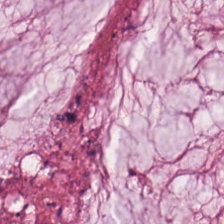The predominant tissue is mucin.
